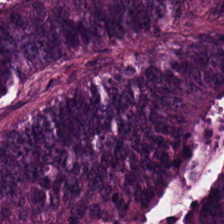Colorectal adenocarcinoma epithelium.
